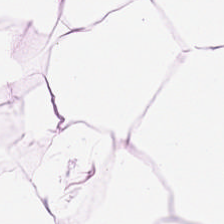FFPE; hematoxylin and eosin.
Impression — adipose tissue.
